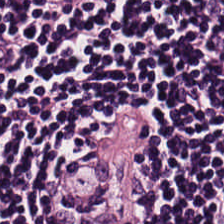Hematoxylin-and-eosin stained section. Predominant tissue — lymphoid infiltrate.
